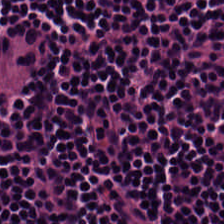WSI patch · hematoxylin and eosin — Lymphocyte aggregate.
